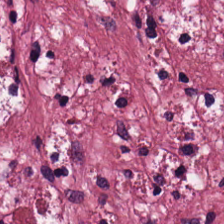H&E.
Q: Classify this patch.
A: It is desmoplastic stroma.
